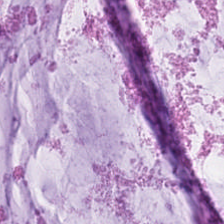FFPE tissue section. 224×224 pixel tile. H&E. Tissue class = extracellular mucin.
